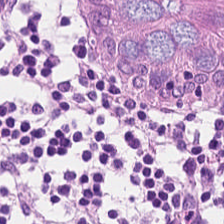Classification: non-neoplastic colon mucosa.
